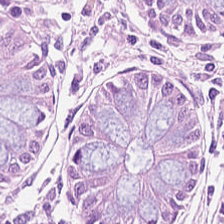The predominant tissue is normal colonic mucosa.
